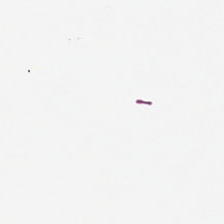H&E. {"content": "empty background"}
